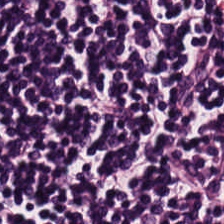Q: Classify this patch.
A: Lymphocyte aggregate.
